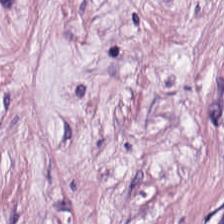H&E-stained tissue section. Tumor-associated stroma.
